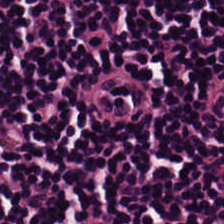Hematoxylin and eosin — Q: What is shown in this field?
A: This is lymphoid infiltrate.
